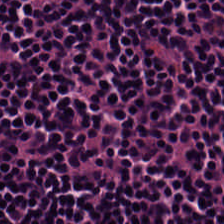Stain: hematoxylin and eosin.
Tissue type: lymphocytes.
